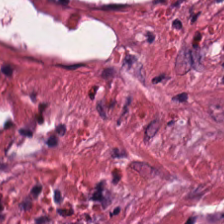Stain: hematoxylin and eosin.
Resolution: 0.5 microns per pixel.
Classification: cancer-associated stroma.
